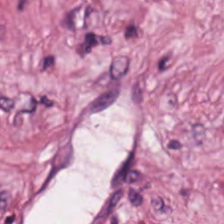Formalin-fixed paraffin-embedded section. Hematoxylin-and-eosin stained section. {"tissue_type": "cancer-associated stroma"}
